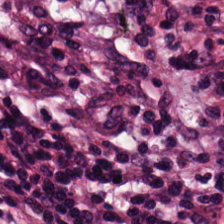Q: Classify this patch.
A: This is desmoplastic stroma.
